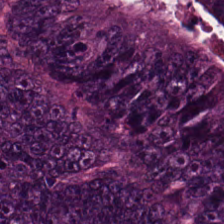0.5 µm/px; H&E stain.
Q: What tissue type is shown here?
A: Adenocarcinoma.
